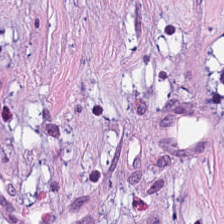224×224 px patch. H&E — Impression → desmoplastic stroma.
